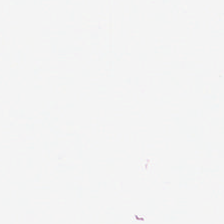Hematoxylin and eosin — This patch shows no tissue.
